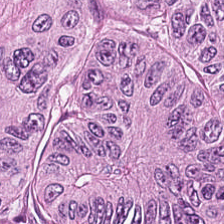H&E.
Finding — colorectal adenocarcinoma epithelium.
